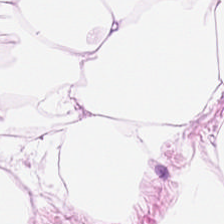Hematoxylin-and-eosin stained section — Predominantly adipose tissue.
